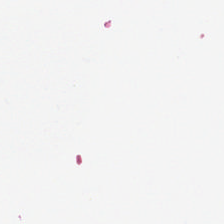H&E stain — Field content = background.
